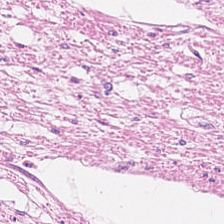H&E · FFPE tissue section. Q: What does this patch show?
A: It is smooth muscle.
